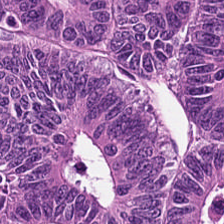Stain: H&E stain.
Tissue: colorectal adenocarcinoma.
